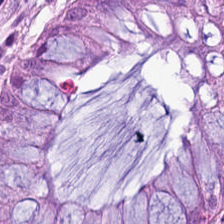Formalin-fixed paraffin-embedded section; hematoxylin-and-eosin stained section. This field is normal colonic mucosa.
